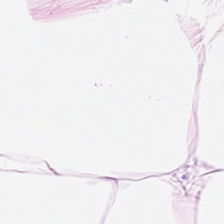Tissue = fat tissue.
